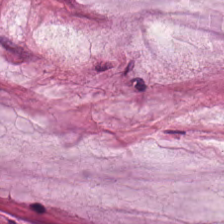Hematoxylin and eosin — Tissue class = extracellular mucin.
